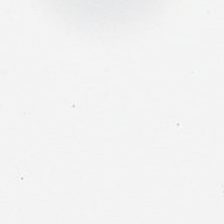FFPE tissue section. H&E. Impression → no tissue.
